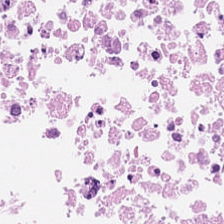Stain: hematoxylin and eosin.
Acquisition: brightfield.
Tissue class: necrotic debris.
